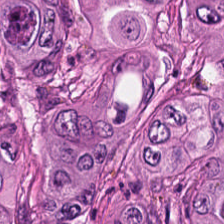Hematoxylin and eosin — Showing colorectal adenocarcinoma epithelium.
